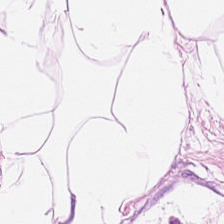H&E. 224×224 px tile. FFPE.
Tissue: adipose.
